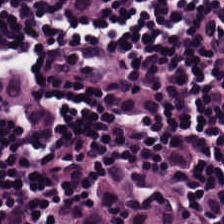H&E stain.
Tissue type: lymphocytic infiltrate.
